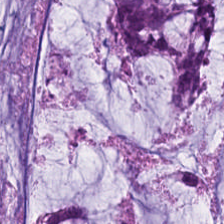Stain: hematoxylin-and-eosin stained section.
Tissue: mucin.
